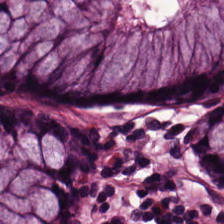H&E — Impression → normal colonic mucosa.
